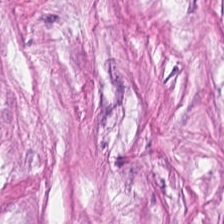H&E-stained section; the field shows desmoplastic stroma.
